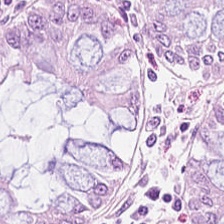H&E-stained tissue section.
Classification: normal colon mucosa.
